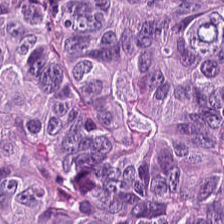H&E stain. This patch shows colorectal adenocarcinoma.
